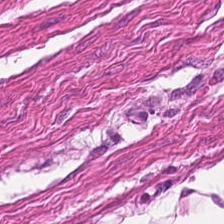Predominantly smooth muscle.
